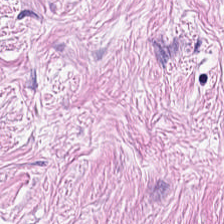Predominantly desmoplastic stroma.
